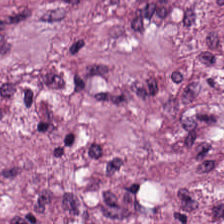H&E-stained tissue section; formalin-fixed paraffin-embedded section — This field is tumor-associated stroma.
